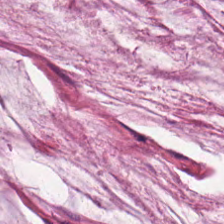Stain: hematoxylin-and-eosin stained section.
Classification: mucin.
